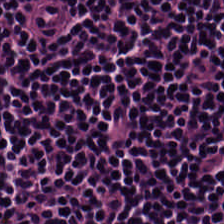Q: What tissue type is shown here?
A: It is lymphocytes.
